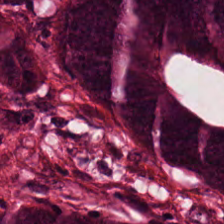Hematoxylin and eosin — Colorectal adenocarcinoma epithelium.
